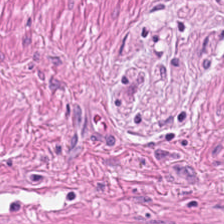H&E stain · 224×224 pixel tile — This patch shows smooth-muscle tissue.
